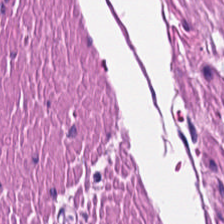Stain: hematoxylin-and-eosin stained section.
Tile size: 224×224 pixel tile.
Resolution: 0.5 microns per pixel.
Predominant tissue: muscularis.
